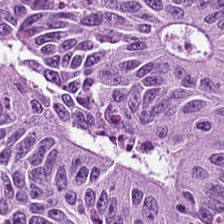FFPE. 20× equivalent magnification. H&E. {"tissue_type": "adenocarcinoma"}
